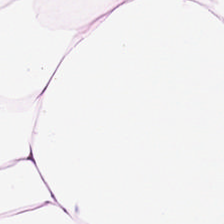Stain: hematoxylin-and-eosin stained section.
Classification: adipocytes.
